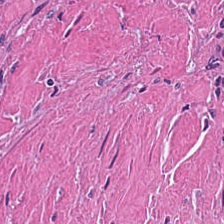Hematoxylin and eosin. Tissue type — necrotic debris.
